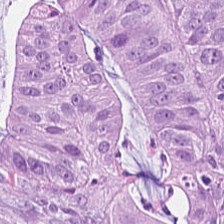Hematoxylin-and-eosin section: colorectal adenocarcinoma epithelium.
